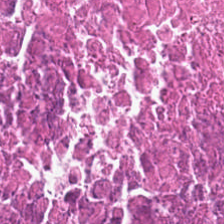Brightfield. H&E. FFPE tissue section. The tissue here is debris.
